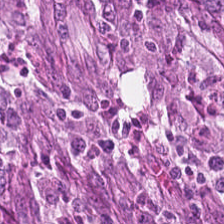Malignant epithelium.
